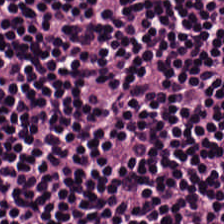Stain: H&E-stained tissue section.
Acquisition: brightfield.
Tissue: lymphocytes.
